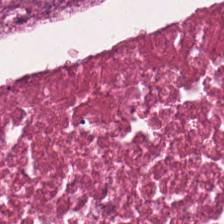Q: What type of tissue is this?
A: It is debris.
